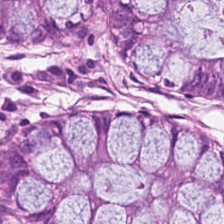Hematoxylin-and-eosin stained section — Tissue type: normal colonic mucosa.
